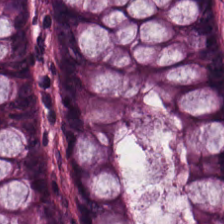Classification — normal colonic mucosa.
